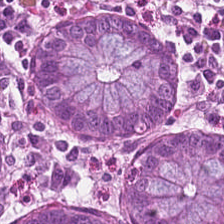20× equivalent magnification; H&E; 224×224 pixel tile. This patch shows non-neoplastic colon mucosa.
